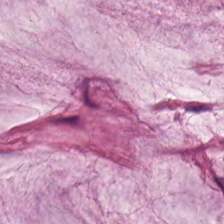WSI patch. H&E — Classification = mucus.
